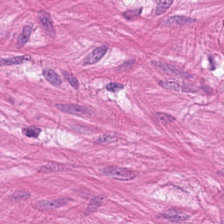Hematoxylin-and-eosin stained section. Q: What does this patch show?
A: The field shows smooth muscle.
